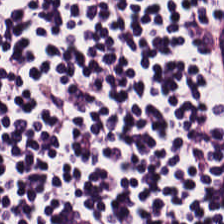Hematoxylin and eosin — Lymphoid infiltrate.
